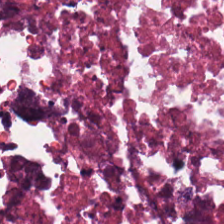Formalin-fixed paraffin-embedded section; 0.5 µm/px; hematoxylin and eosin. Showing necrotic debris.
